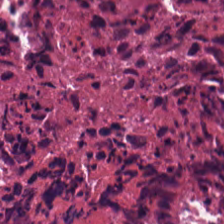Q: Classify this patch.
A: The field shows debris.
